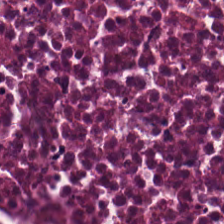Stain: H&E-stained tissue section.
Preparation: FFPE.
Tissue: cellular debris.
